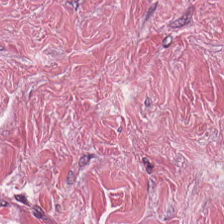WSI patch; H&E-stained tissue section; 0.5 µm per pixel. The tissue class is tumor stroma.
